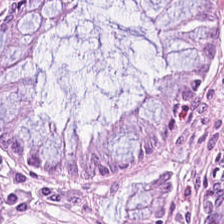Stain: hematoxylin and eosin.
Preparation: FFPE.
Tissue: normal colonic mucosa.
